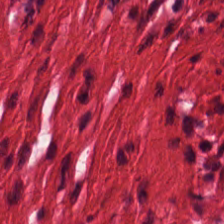Whole-slide-image patch; H&E.
Finding → smooth muscle.
